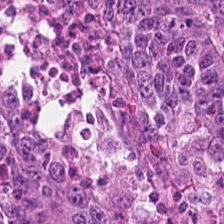Brightfield microscopy. H&E. FFPE. The predominant tissue is adenocarcinoma.
